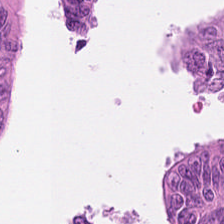Hematoxylin-and-eosin stained section · 224×224 pixel tile · 0.5 µm/px.
This patch shows colorectal adenocarcinoma.
